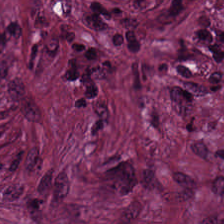Finding — cancer-associated stroma.
